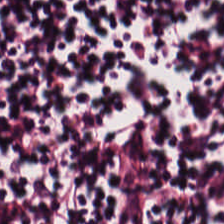20× equivalent magnification. H&E stain. Brightfield microscopy. Tissue class — lymphocytes.
